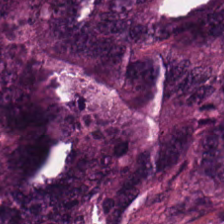Predominant tissue = colorectal adenocarcinoma.
